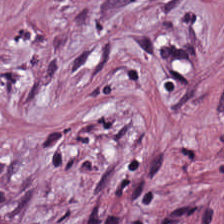Hematoxylin and eosin; 224×224 pixel tile — The predominant tissue is cancer-associated stroma.
